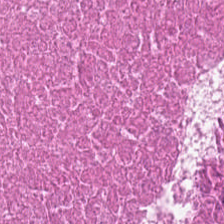H&E-stained tissue section. 224×224 pixel tile — Predominantly debris.
